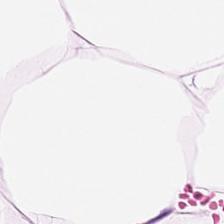H&E stain; brightfield microscopy. Adipose tissue.
